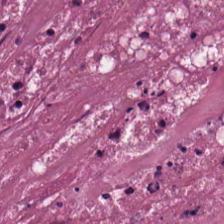H&E; WSI patch; 20× equivalent magnification. Histology → debris.
